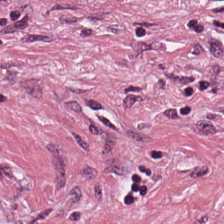H&E patch showing tumor-associated stroma.
